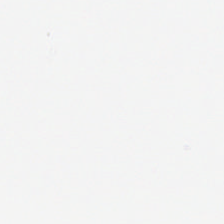H&E · 224×224 px patch — Classification: background (no tissue).
